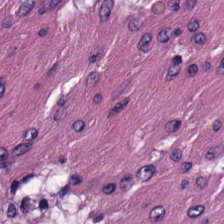224×224 px patch · H&E-stained tissue section. This field is smooth muscle.
